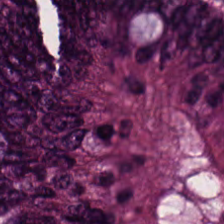H&E-stained tissue section · 0.5 µm per pixel.
Q: What tissue type is shown here?
A: Malignant epithelium.
